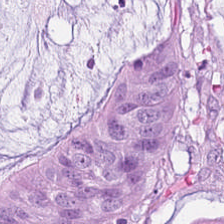Hematoxylin and eosin — Predominant tissue — mucin.
